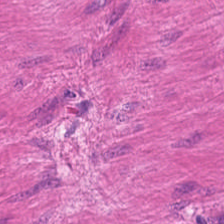0.5 µm/px. Hematoxylin-and-eosin stained section. 224×224 px tile.
Muscularis.
